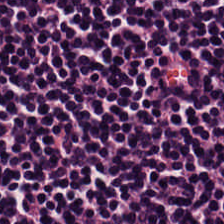224×224 pixel tile. H&E-stained tissue section — The classification is lymphocyte aggregate.
